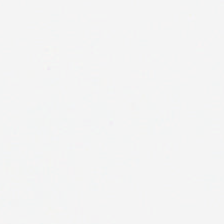Hematoxylin and eosin. This field is background (no tissue).
